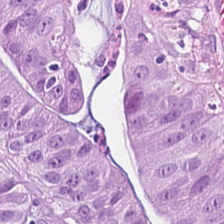H&E.
{"tissue_type": "colorectal adenocarcinoma epithelium"}
